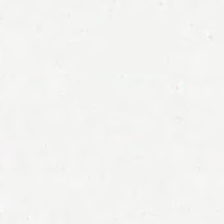H&E stain. Impression → background.
